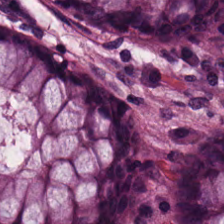Hematoxylin-and-eosin stained section.
Predominant tissue = non-neoplastic colon mucosa.
